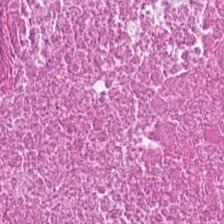FFPE. H&E.
Classification: debris.
